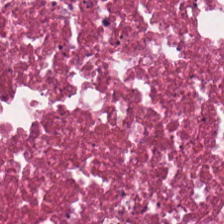Hematoxylin and eosin. Q: What is shown here?
A: The field shows debris.
